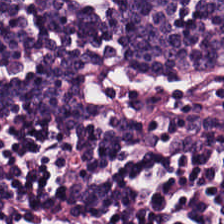Stain: hematoxylin-and-eosin stained section.
Tissue: lymphocyte aggregate.
